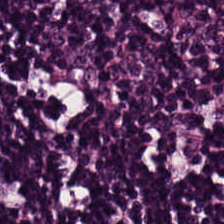Stain: hematoxylin and eosin.
Tissue: lymphoid infiltrate.
